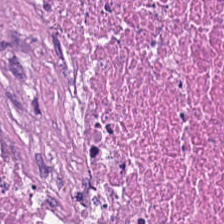Stain: H&E stain.
Tissue type: necrotic debris.
